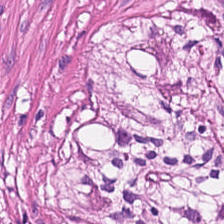Hematoxylin-and-eosin stained section — Tissue class: smooth muscle.
